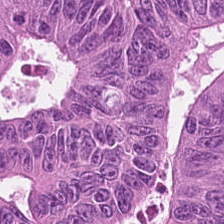H&E. Tissue: tumor epithelium.
